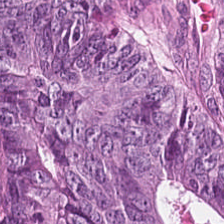Formalin-fixed paraffin-embedded section · hematoxylin-and-eosin stained section · 224×224 pixel tile.
Tissue class — malignant epithelium.
